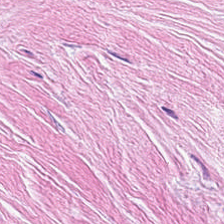Stain: H&E.
Predominant tissue: tumor-associated stroma.
